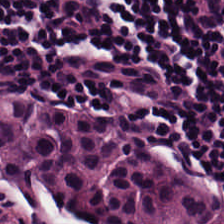H&E-stained tissue section · 20× equivalent magnification.
Q: Classify this patch.
A: It is lymphocytes.
